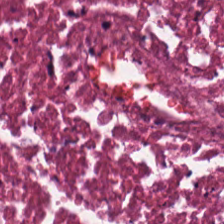Hematoxylin and eosin. Cellular debris.
